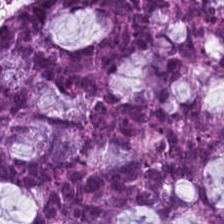Hematoxylin-and-eosin stained section — {"tissue_type": "mucin"}
